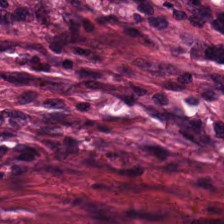0.5 µm per pixel. H&E-stained tissue section. 224×224 pixel tile. This patch shows desmoplastic stroma.
